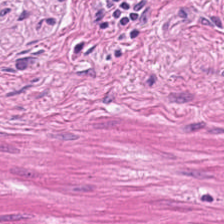H&E. The predominant tissue is muscularis.
